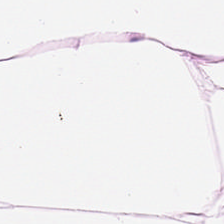Hematoxylin-and-eosin stained section — Predominantly fat tissue.
